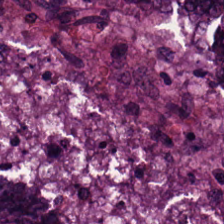Tissue type = adenocarcinoma.
